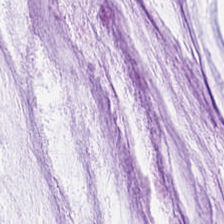H&E stain — Q: What does this patch show?
A: It is extracellular mucin.
